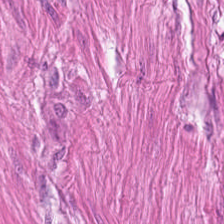Stain: hematoxylin and eosin.
Classification: smooth muscle.
